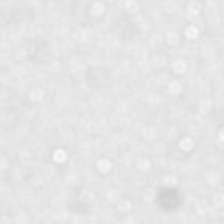20× equivalent magnification · hematoxylin and eosin. Background — no tissue in this field.
